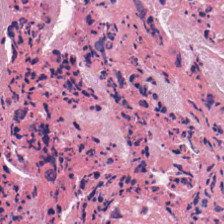Hematoxylin-and-eosin stained section — Predominantly cellular debris.
